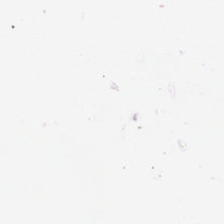FFPE tissue section. H&E stain. Brightfield microscopy. Field content = background (no tissue).
